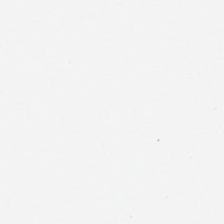Brightfield microscopy; H&E.
No tissue present; background only.
